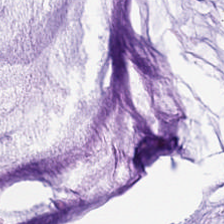0.5 µm/px; 224×224 px patch; H&E.
This patch shows extracellular mucin.
